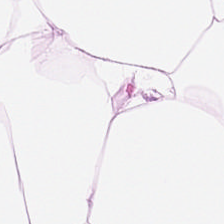H&E-stained tissue section. Formalin-fixed paraffin-embedded section — Predominant tissue: adipose.
